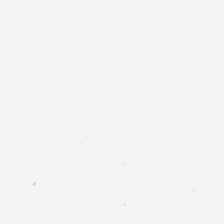Field content: empty background.
